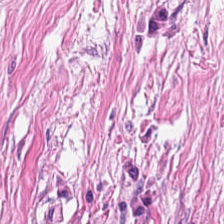{"tissue_type": "cancer-associated stroma"}
